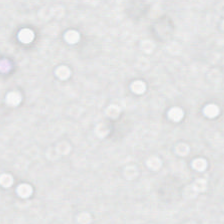Stain: hematoxylin-and-eosin stained section.
Classification: empty background.
